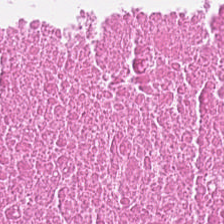H&E stain — Tissue — debris.
